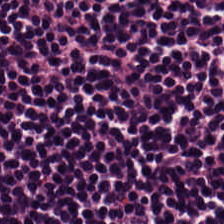Tissue = lymphoid infiltrate.
